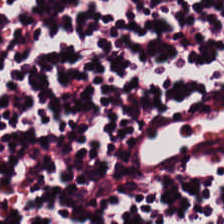H&E stain. Lymphocyte aggregate.
